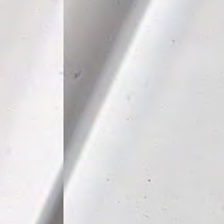H&E.
No tissue present; background only.
